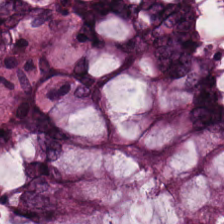Normal colon mucosa.
